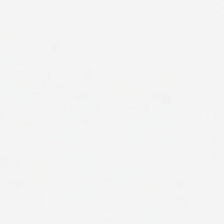FFPE. Hematoxylin-and-eosin stained section. Empty field — no tissue.
